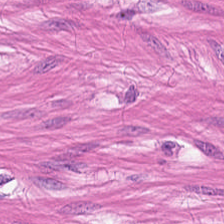Classification — muscularis.
